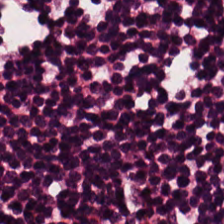H&E-stained tissue section — Tissue — lymphoid infiltrate.
